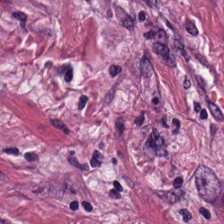H&E-stained tissue section · brightfield · 0.5 microns per pixel.
The tissue here is cancer-associated stroma.
